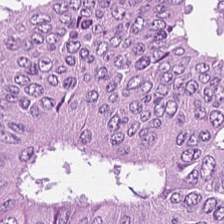Hematoxylin-and-eosin stained section.
Q: What type of tissue is this?
A: This is tumor epithelium.
